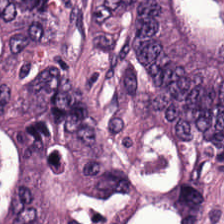Hematoxylin and eosin. The predominant tissue is colorectal adenocarcinoma epithelium.
